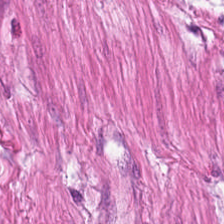H&E-stained tissue section. Histology → smooth muscle.
